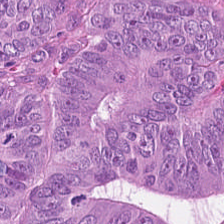Brightfield microscopy. FFPE tissue section. H&E-stained tissue section.
The tissue type is colorectal adenocarcinoma.
